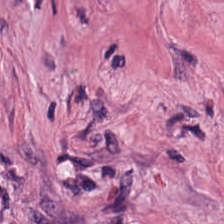Stain: H&E-stained tissue section.
Acquisition: brightfield microscopy.
Predominant tissue: cancer-associated stroma.
